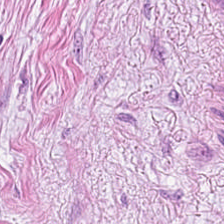H&E-stained tissue section · brightfield · 224×224 px patch — Classification = tumor stroma.
